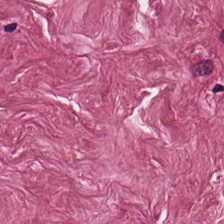0.5 µm per pixel · H&E stain · FFPE — Q: What is shown in this field?
A: The field shows cancer-associated stroma.
